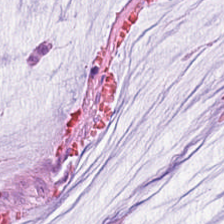Stain: H&E-stained tissue section.
Preparation: FFPE.
Predominant tissue: mucin.
